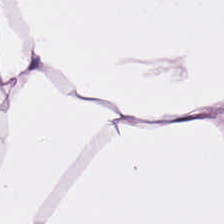Brightfield microscopy. H&E. The tissue type is fat tissue.
